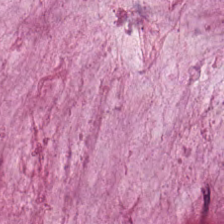20× equivalent magnification; hematoxylin-and-eosin stained section.
The predominant tissue is mucin.
